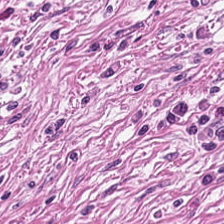H&E patch showing tumor stroma.
